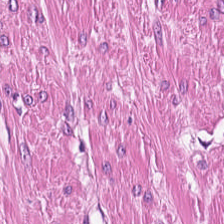H&E-stained tissue section.
Impression — smooth-muscle tissue.
